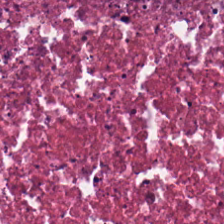H&E. Brightfield microscopy — {"tissue_type": "cellular debris"}
